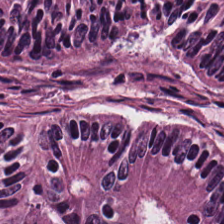Stain: hematoxylin-and-eosin stained section.
Predominant tissue: colorectal adenocarcinoma.
